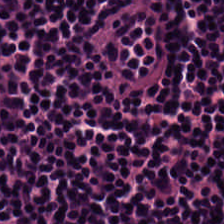FFPE tissue section. H&E stain. Tissue class: lymphocytic infiltrate.
